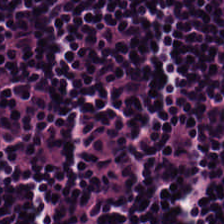H&E stain · 224×224 px tile · FFPE tissue section — This field is lymphoid infiltrate.
